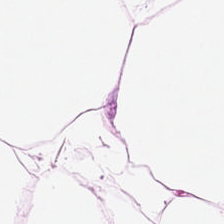Stain: hematoxylin-and-eosin stained section.
Acquisition: whole-slide-image patch.
Preparation: FFPE.
Predominant tissue: adipocytes.
